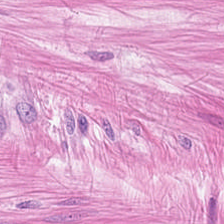Hematoxylin and eosin. The tissue class is smooth muscle.
